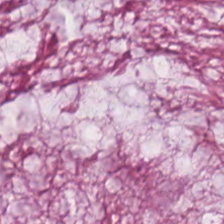Hematoxylin and eosin. Whole-slide-image patch. Mucus.
